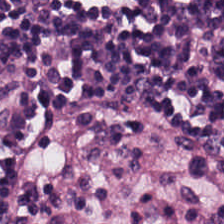Hematoxylin and eosin. Showing lymphocyte aggregate.
